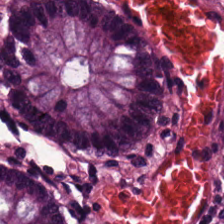Formalin-fixed paraffin-embedded section · H&E stain. This patch shows normal colon mucosa.
